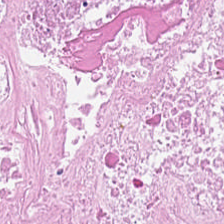FFPE tissue section. 224×224 px patch. Hematoxylin-and-eosin stained section — Q: What is the predominant tissue type?
A: Debris.
